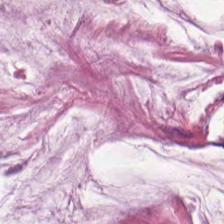Tissue — mucus.
